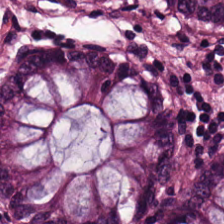H&E-stained tissue section · formalin-fixed paraffin-embedded section · 20× equivalent magnification.
{"tissue_type": "normal colonic mucosa"}
